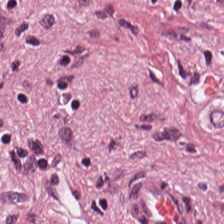H&E. Classification = tumor stroma.
